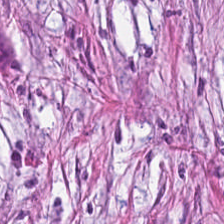FFPE; hematoxylin and eosin — Q: What is shown in this field?
A: This is tumor stroma.
